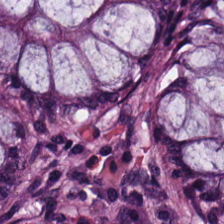Tissue type = non-neoplastic colon mucosa.
